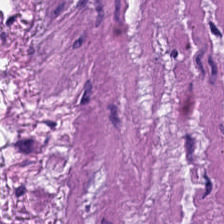20× equivalent magnification; 224×224 px tile; hematoxylin and eosin.
Predominantly smooth-muscle tissue.
